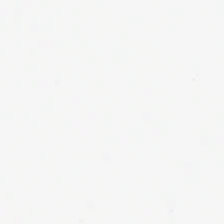Hematoxylin-and-eosin stained section. Content = no tissue.
